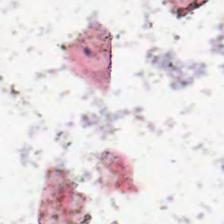Hematoxylin and eosin. FFPE tissue section — No tissue present; background only.
